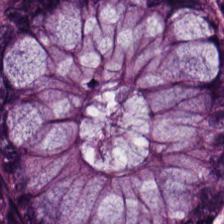0.5 µm/px · 224×224 pixel tile · hematoxylin and eosin. Showing benign colonic mucosa.
